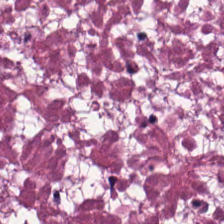224×224 pixel tile · hematoxylin and eosin · FFPE — {"tissue_type": "necrotic debris"}
